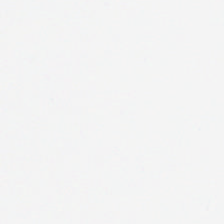Hematoxylin and eosin — Background — no tissue in this field.
